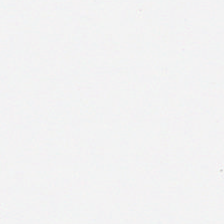Hematoxylin-and-eosin stained section. Q: What is shown here?
A: This is empty background.
